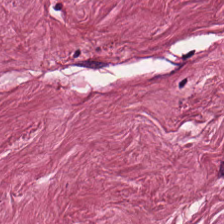Showing desmoplastic stroma.
